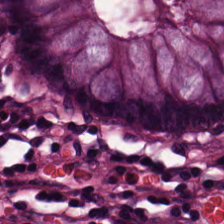The classification is normal colon mucosa.
